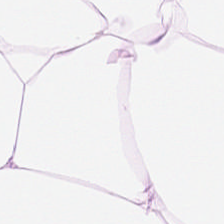Formalin-fixed paraffin-embedded section · H&E stain.
Predominantly fat tissue.
